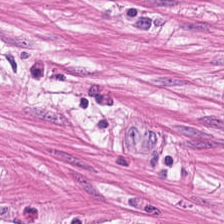Predominant tissue: smooth-muscle tissue.
